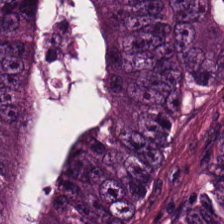Hematoxylin-and-eosin stained section.
This field is colorectal adenocarcinoma.
